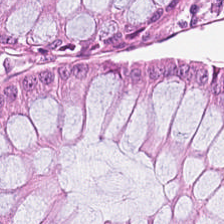Hematoxylin-and-eosin stained section.
The classification is normal colon mucosa.
